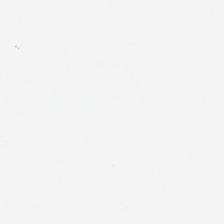H&E stain; 224×224 px tile.
Classification: no tissue.
